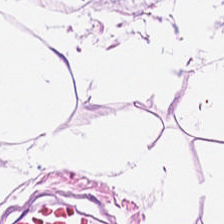224×224 pixel tile. H&E-stained tissue section. 0.5 µm/px. Q: What is shown in this field?
A: This is adipocytes.
